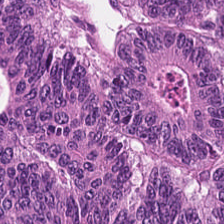WSI patch · hematoxylin-and-eosin stained section.
This patch shows colorectal adenocarcinoma.
